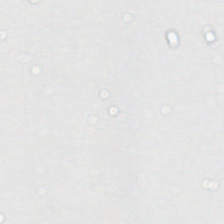Hematoxylin-and-eosin stained section.
Background — no tissue in this field.
